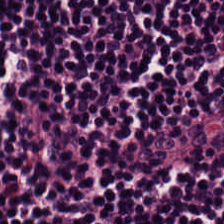Stain: H&E.
Tile size: 224×224 px patch.
Tissue class: lymphocytic infiltrate.
